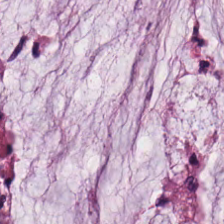H&E. Tissue type: mucus.
